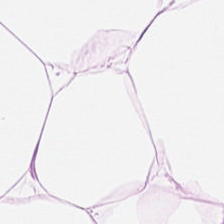Brightfield microscopy. Hematoxylin-and-eosin stained section. 224×224 px tile. Classification = adipose.
